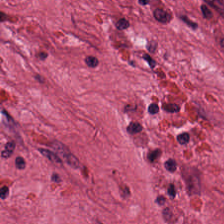Q: What type of tissue is this?
A: It is cancer-associated stroma.
